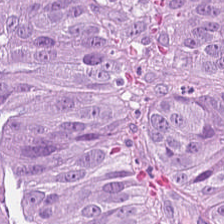Brightfield microscopy · H&E-stained tissue section · FFPE. Q: Classify this patch.
A: Malignant epithelium.
